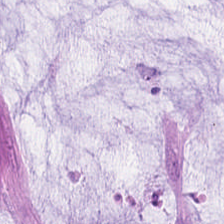Q: Classify this patch.
A: Mucin.
